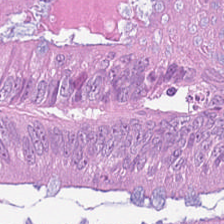This patch shows colorectal adenocarcinoma epithelium.
